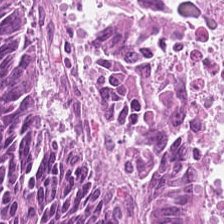Q: What does this patch show?
A: This is colorectal adenocarcinoma.
